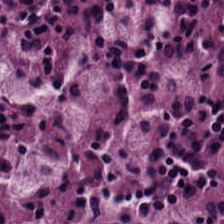Hematoxylin-and-eosin stained section.
{"tissue_type": "lymphocytes"}
